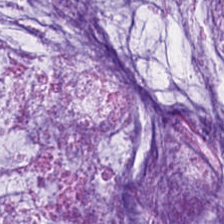Predominantly mucin.
